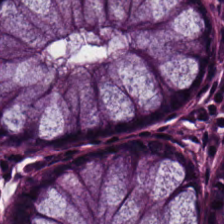Stain: H&E stain.
Tissue: normal colon mucosa.
